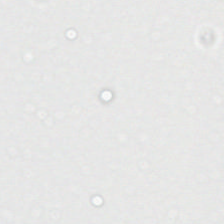Hematoxylin-and-eosin stained section. Classification: empty background.
